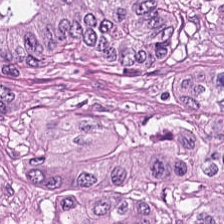Stain: H&E stain.
Tissue class: adenocarcinoma.
